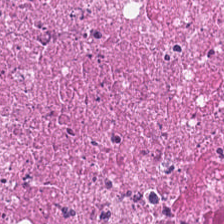0.5 µm per pixel; H&E — Predominantly cellular debris.
